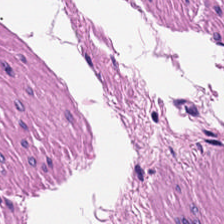H&E stain · 0.5 µm per pixel. {"tissue_type": "muscularis"}
